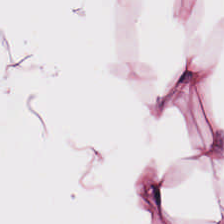H&E — adipose.
